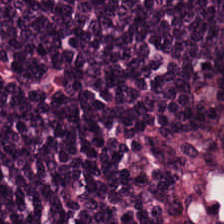H&E stain.
This field is lymphoid infiltrate.
